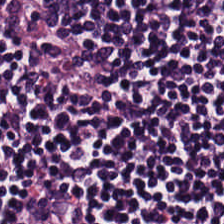H&E stain. 224×224 pixel tile.
Tissue type = lymphoid infiltrate.
